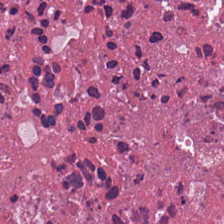224×224 px patch · H&E — Finding — cellular debris.
